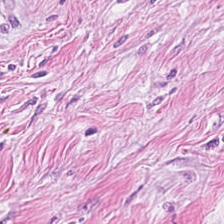H&E. This field is desmoplastic stroma.
